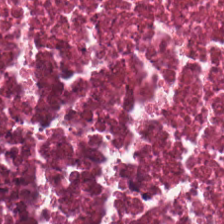This patch shows necrotic debris.
